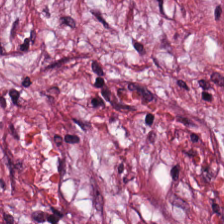Hematoxylin-and-eosin stained section.
Q: What is shown in this field?
A: It is cancer-associated stroma.
